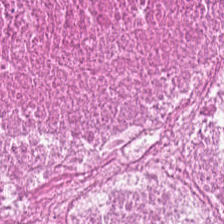Stain: H&E-stained tissue section.
Classification: cellular debris.
